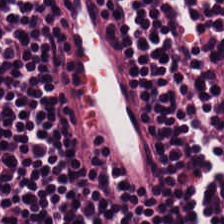H&E stain · 20× equivalent magnification.
The predominant tissue is lymphocyte aggregate.
